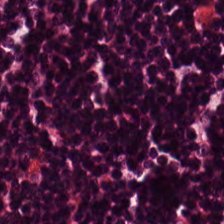20× equivalent magnification; hematoxylin-and-eosin stained section — Classification = lymphoid infiltrate.
